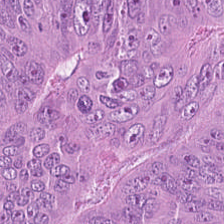H&E-stained tissue section.
Tissue — tumor epithelium.
